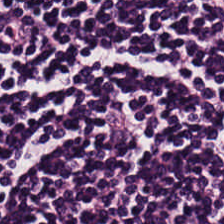Showing lymphoid infiltrate.
